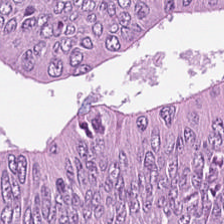Hematoxylin and eosin.
The tissue is adenocarcinoma.
